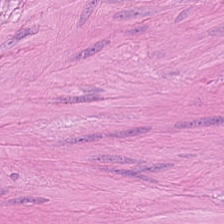H&E-stained tissue section · 224×224 px patch. The tissue here is smooth muscle.
